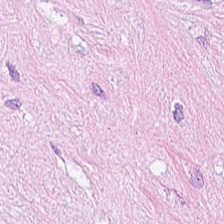H&E-stained tissue section.
Q: What is shown in this field?
A: Tumor stroma.
